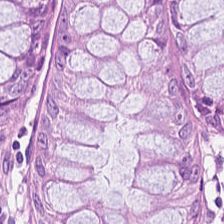0.5 µm/px. Hematoxylin-and-eosin stained section — Q: What type of tissue is this?
A: The field shows normal colonic mucosa.
